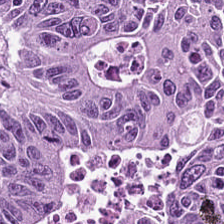{"tissue_type": "colorectal adenocarcinoma"}
